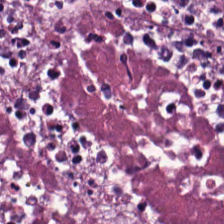Predominantly necrotic debris.
